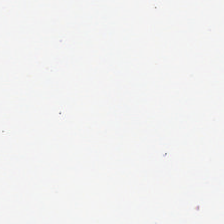{"content": "empty background"}
